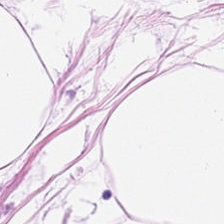H&E-stained tissue section.
Histology → adipose.
